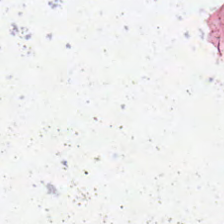Classification — no tissue.
